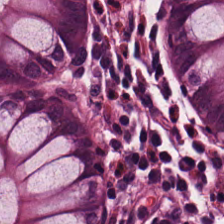H&E — Predominant tissue — normal colonic mucosa.
